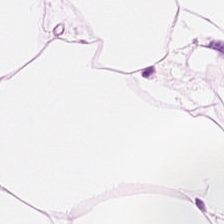H&E. This field is fat tissue.
